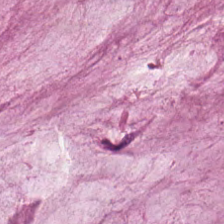H&E-stained tissue section — The classification is extracellular mucin.
